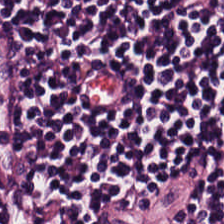H&E-stained tissue section; 224×224 px patch. The tissue here is lymphoid infiltrate.
